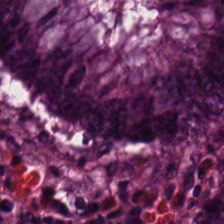Impression — normal colonic mucosa.
